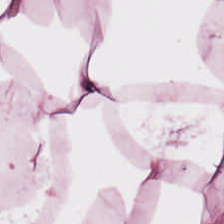Stain: H&E stain.
Predominant tissue: adipose tissue.
